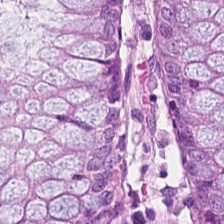Brightfield · 224×224 px patch · hematoxylin and eosin — Tissue class = non-neoplastic colon mucosa.
